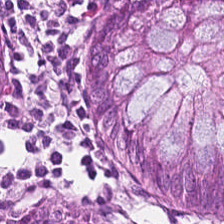224×224 px tile; 0.5 µm per pixel; hematoxylin and eosin. Q: What tissue is shown?
A: It is normal colon mucosa.
